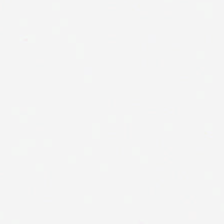Q: What does this patch show?
A: Background (no tissue).
